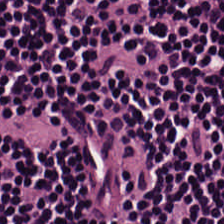Stain: H&E stain.
Tissue: lymphocytic infiltrate.
